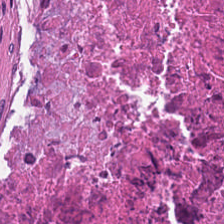FFPE tissue section; hematoxylin-and-eosin stained section — Tissue = necrotic debris.
